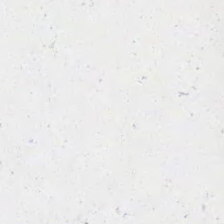Content — empty background.
